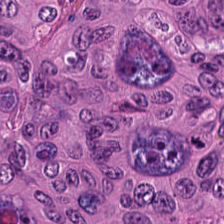H&E. The predominant tissue is tumor epithelium.
